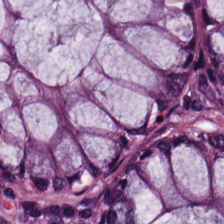H&E-stained tissue section · WSI patch.
Histology — non-neoplastic colon mucosa.
